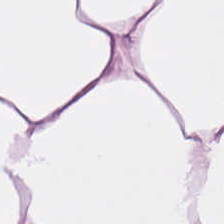H&E. Q: What tissue is shown?
A: It is adipose tissue.
